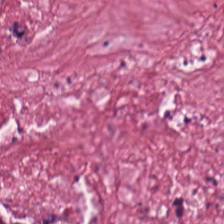H&E stain — Q: Identify the tissue.
A: The field shows cancer-associated stroma.
